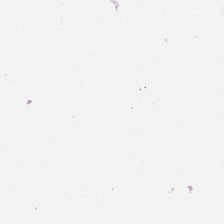Stain: H&E.
Resolution: 0.5 microns per pixel.
Preparation: FFPE tissue section.
Content: background (no tissue).
